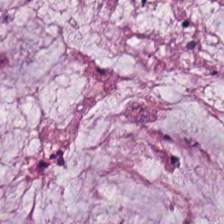Hematoxylin and eosin. Showing mucin.
